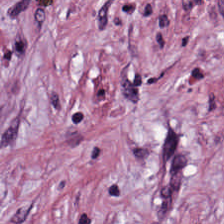H&E-stained tissue section. Tissue type = desmoplastic stroma.
